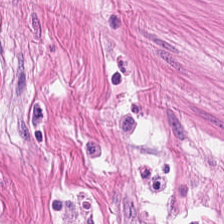Q: What tissue is shown?
A: Smooth muscle.
